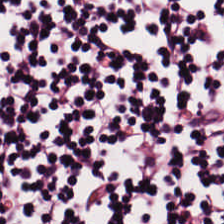Hematoxylin-and-eosin stained section — Q: What type of tissue is this?
A: This is lymphoid infiltrate.
